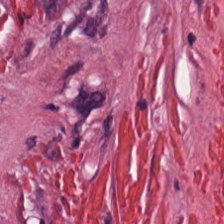H&E-stained tissue section — Showing desmoplastic stroma.
